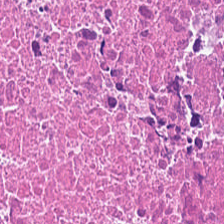Stain: hematoxylin-and-eosin stained section.
Tissue type: cellular debris.
